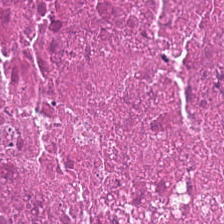Stain: H&E stain.
Predominant tissue: necrotic debris.
